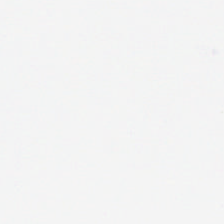Content — no tissue.
